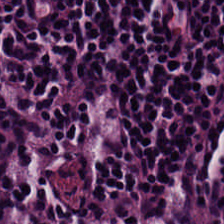WSI patch. H&E. This field is lymphocytic infiltrate.
